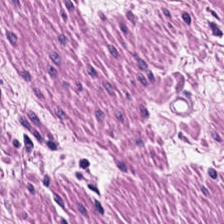WSI patch. Hematoxylin and eosin.
Classification = muscularis.
